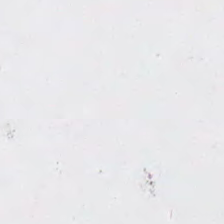Hematoxylin-and-eosin stained section.
No tissue present; background only.
